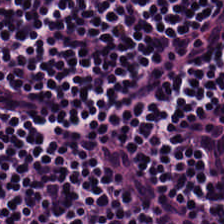Stain: H&E stain.
Acquisition: brightfield microscopy.
Tissue: lymphocytic infiltrate.
